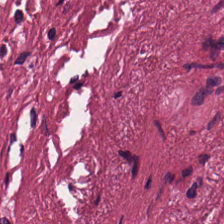0.5 µm/px. Hematoxylin-and-eosin stained section. Tissue — tumor-associated stroma.
